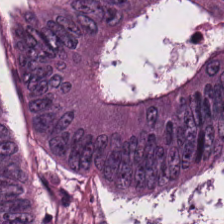WSI patch; H&E. Q: What type of tissue is this?
A: This is adenocarcinoma.
